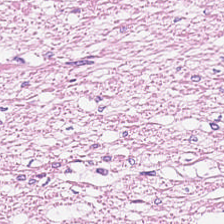Hematoxylin and eosin — Smooth-muscle tissue.
